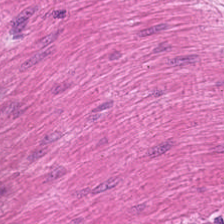Hematoxylin and eosin.
This field is smooth muscle.
